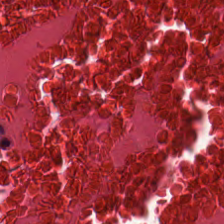H&E.
Classification = cellular debris.
